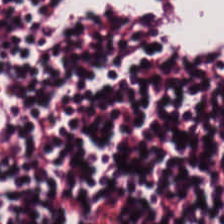Hematoxylin-and-eosin section: lymphocytes.
